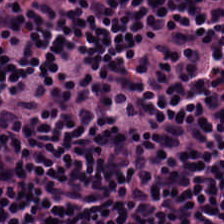H&E; 224×224 pixel tile; formalin-fixed paraffin-embedded section.
Tissue class — lymphoid infiltrate.
